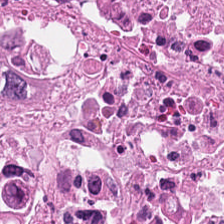H&E stain. 224×224 px tile — Predominantly debris.
